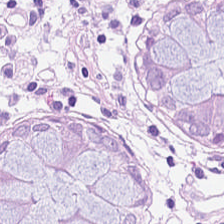224×224 pixel tile. H&E stain. Histology — benign colonic mucosa.
